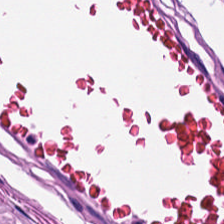H&E. Tissue type — smooth muscle.
